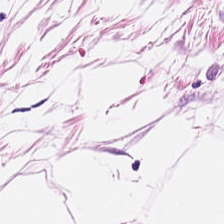Finding → fat tissue.
